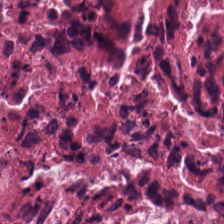Whole-slide-image patch. Hematoxylin and eosin. {"tissue_type": "debris"}
